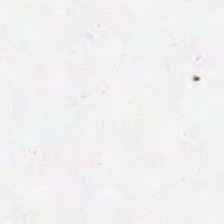Brightfield; hematoxylin-and-eosin stained section.
Classification = no tissue.
